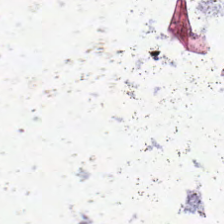H&E-stained tissue section · FFPE tissue section. Empty field — background.
